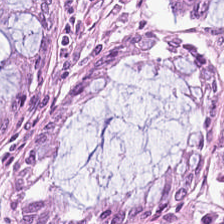0.5 µm/px; H&E.
Tissue class: benign colonic mucosa.
